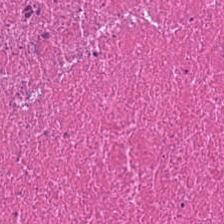H&E-stained tissue section. This patch shows cellular debris.
